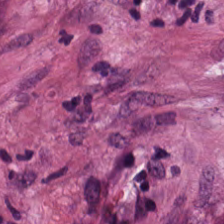Cancer-associated stroma.
